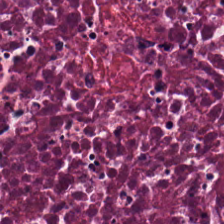H&E — necrotic debris.
